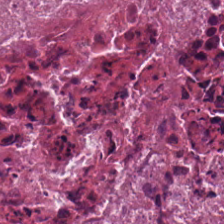Stain: hematoxylin-and-eosin stained section.
Tile size: 224×224 px tile.
Acquisition: brightfield microscopy.
Tissue type: debris.
